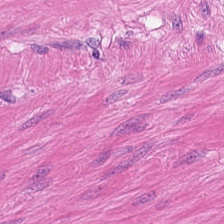{"tissue_type": "smooth muscle"}
